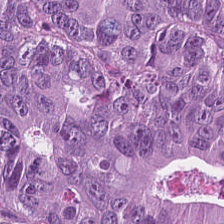Stain: H&E.
Classification: adenocarcinoma.
